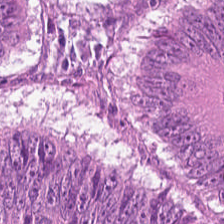224×224 px patch · 0.5 microns per pixel · H&E stain.
Tissue type: colorectal adenocarcinoma epithelium.
